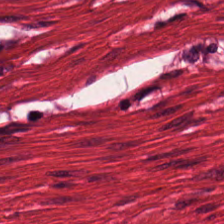Stain: H&E.
Tissue: smooth muscle.
